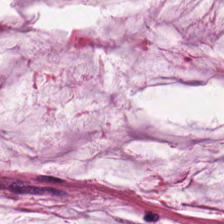Hematoxylin and eosin · FFPE · 224×224 px tile. This field is mucus.
